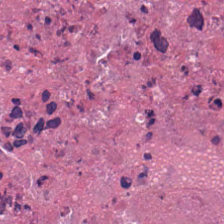Stain: H&E.
Predominant tissue: necrotic debris.
